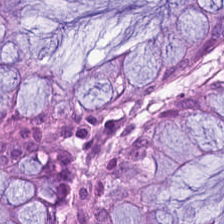H&E-stained tissue section. 224×224 pixel tile. Classification — normal colon mucosa.
